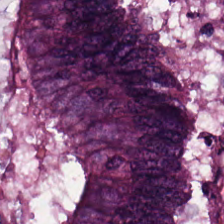Stain: H&E stain.
Tissue type: malignant epithelium.
